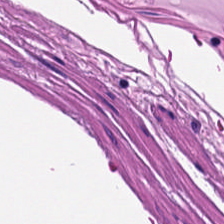H&E — smooth-muscle tissue.
